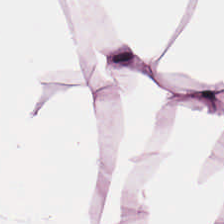Hematoxylin-and-eosin stained section — Tissue: fat tissue.
